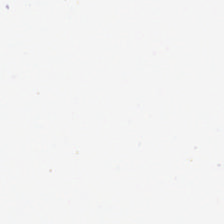Hematoxylin-and-eosin stained section; brightfield. Background — no tissue in this field.
